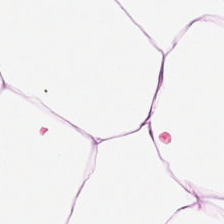FFPE tissue section · hematoxylin-and-eosin stained section.
Showing adipose.
